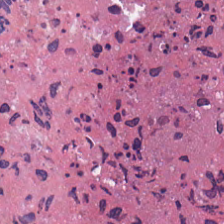Stain: hematoxylin and eosin.
Acquisition: brightfield.
Tissue: debris.
